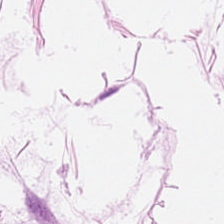0.5 µm per pixel · whole-slide-image patch · H&E-stained tissue section — {"tissue_type": "fat tissue"}
